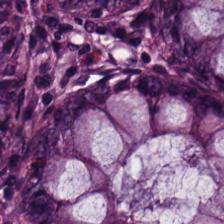Hematoxylin and eosin. Showing non-neoplastic colon mucosa.
